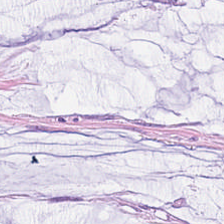H&E stain — Extracellular mucin.
